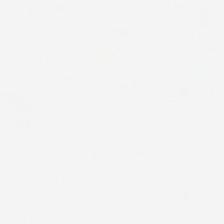Stain: hematoxylin and eosin.
Content: background (no tissue).
